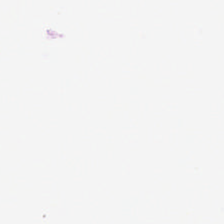H&E stain.
Classification — background (no tissue).
